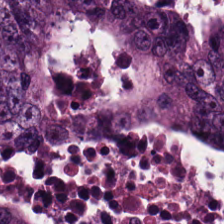Hematoxylin and eosin; whole-slide-image patch — The tissue is colorectal adenocarcinoma epithelium.
